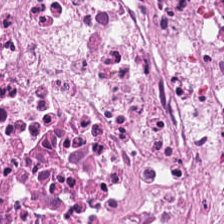Hematoxylin and eosin.
Q: Classify this patch.
A: This is debris.
